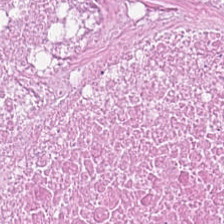0.5 µm per pixel; H&E stain. Histology → debris.
